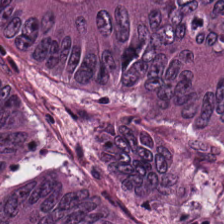WSI patch; hematoxylin and eosin — Impression → colorectal adenocarcinoma epithelium.
